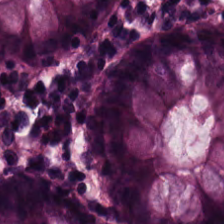The tissue is non-neoplastic colon mucosa.
